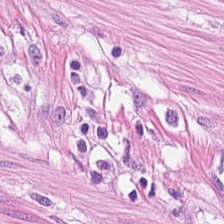Q: What does this patch show?
A: The field shows smooth muscle.
